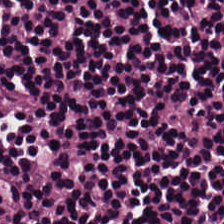Brightfield microscopy; hematoxylin-and-eosin stained section. Showing lymphocytes.
